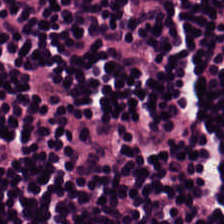H&E; brightfield. The tissue here is lymphocyte aggregate.
